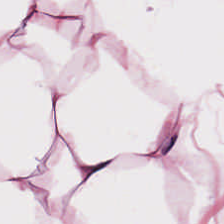Showing adipose.
